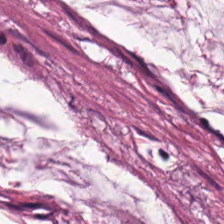0.5 microns per pixel. H&E stain. 224×224 px tile. Finding — mucus.
